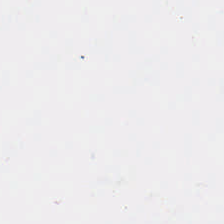Brightfield; H&E-stained tissue section — Impression — no tissue.
